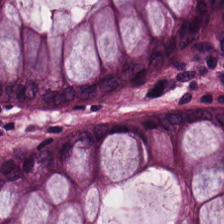This field is non-neoplastic colon mucosa.
